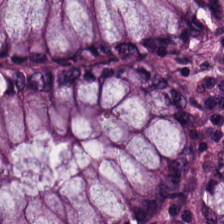Stain: H&E stain.
Resolution: 20× equivalent magnification.
Tissue class: normal colonic mucosa.
